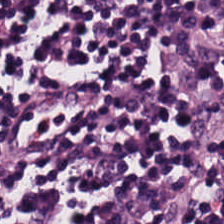Hematoxylin-and-eosin stained section. 224×224 px tile. Brightfield.
Tissue: lymphoid infiltrate.
